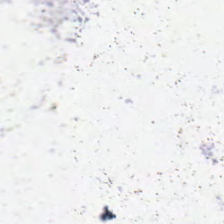20× equivalent magnification · hematoxylin and eosin · FFPE tissue section — Q: What does this patch show?
A: This is background (no tissue).
